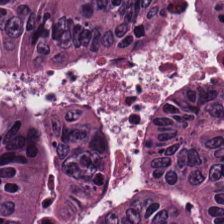Stain: hematoxylin-and-eosin stained section.
Acquisition: whole-slide-image patch.
Tissue class: tumor epithelium.
